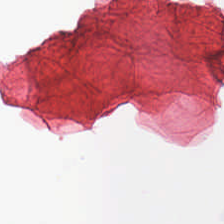Field content = no tissue.
